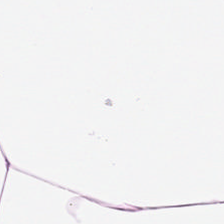0.5 µm per pixel · whole-slide-image patch · H&E stain.
Predominant tissue = adipose.
